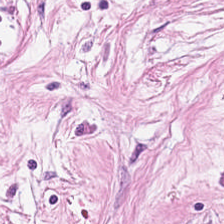Formalin-fixed paraffin-embedded section. 224×224 px tile. Hematoxylin and eosin.
Tissue class: desmoplastic stroma.
